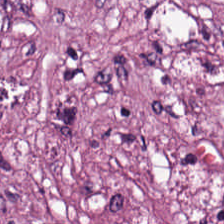The tissue here is tumor stroma.
